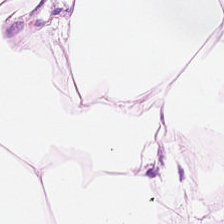This field is adipocytes.
